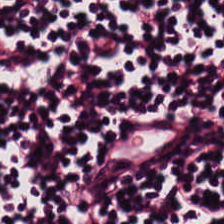H&E stain.
Showing lymphoid infiltrate.
